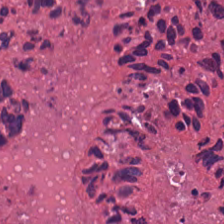H&E stain — The predominant tissue is debris.
